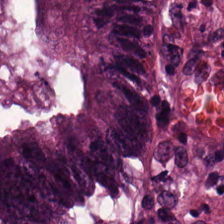H&E · FFPE · 20× equivalent magnification. Tissue = colorectal adenocarcinoma.
